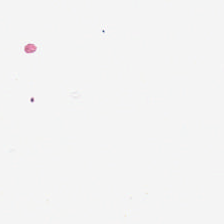H&E stain.
Histology → empty background.
